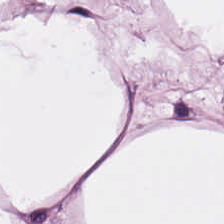Hematoxylin-and-eosin stained section.
Q: What tissue is shown?
A: It is adipocytes.
